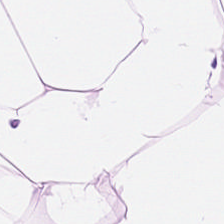0.5 µm per pixel. H&E stain — Tissue class: adipocytes.
